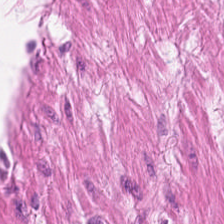0.5 microns per pixel · H&E — Tissue type: smooth-muscle tissue.
